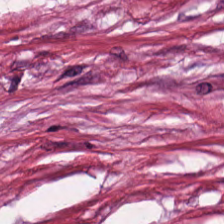FFPE. Hematoxylin and eosin — Q: What type of tissue is this?
A: The field shows desmoplastic stroma.
